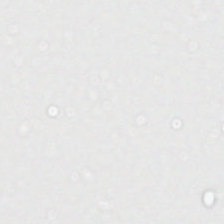Hematoxylin and eosin.
Histology — background.
